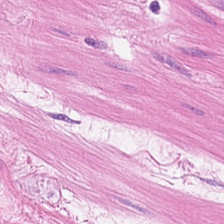H&E.
Showing smooth-muscle tissue.
